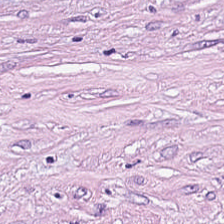Hematoxylin-and-eosin stained section — Impression → tumor-associated stroma.
